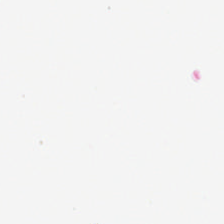Hematoxylin and eosin; whole-slide-image patch — This patch shows no tissue.
